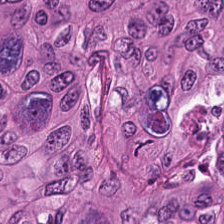Predominant tissue: colorectal adenocarcinoma epithelium.
